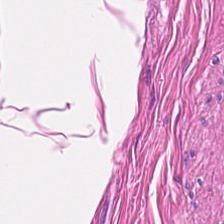Stain: H&E-stained tissue section.
Classification: muscularis.
